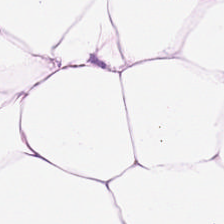H&E. Finding → fat tissue.
